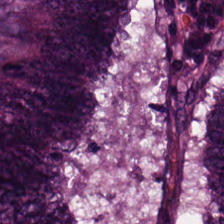The classification is adenocarcinoma.
